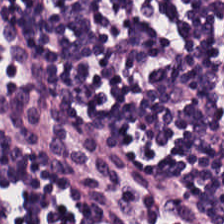Hematoxylin-and-eosin stained section — Tissue class: lymphocyte aggregate.
